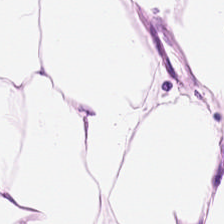H&E-stained tissue section showing adipocytes.
